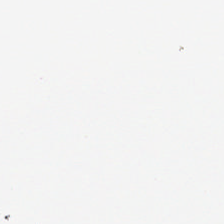H&E — No tissue present; background only.
